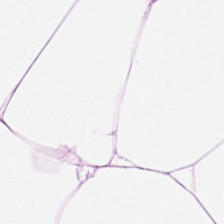Hematoxylin-and-eosin stained section.
Tissue — adipose.
